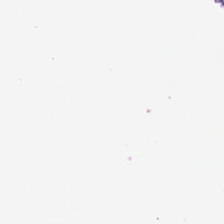{"content": "background"}
